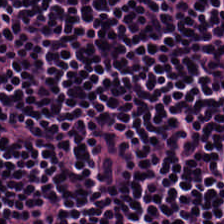Hematoxylin-and-eosin stained section. Predominantly lymphocytes.
